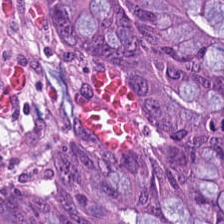Stain: H&E stain.
Resolution: 0.5 microns per pixel.
Acquisition: brightfield.
Tissue: malignant epithelium.
